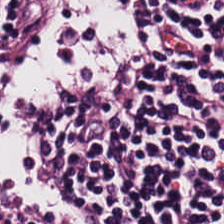Brightfield microscopy. Hematoxylin and eosin.
The tissue here is lymphocyte aggregate.
